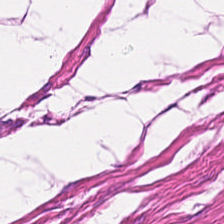Classification — muscularis.
